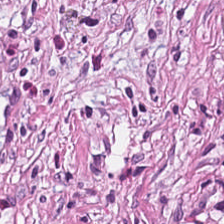H&E stain. Finding → desmoplastic stroma.
